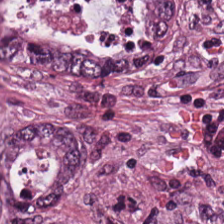H&E · 0.5 µm per pixel. Colorectal adenocarcinoma.
